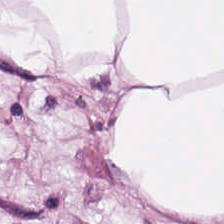Hematoxylin-and-eosin stained section.
Q: What is shown in this field?
A: The field shows adipocytes.
